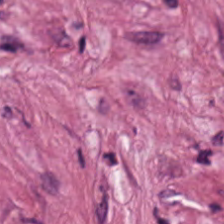0.5 microns per pixel. FFPE tissue section. H&E stain. Q: What does this patch show?
A: Cancer-associated stroma.
